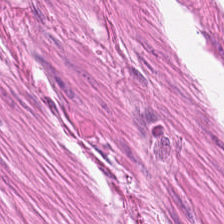Hematoxylin and eosin — Smooth muscle.
